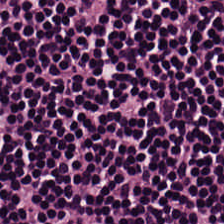FFPE tissue section · hematoxylin and eosin. Impression → lymphocytic infiltrate.
